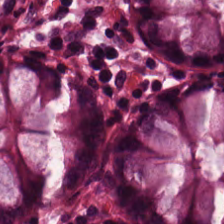Finding → normal colonic mucosa.
